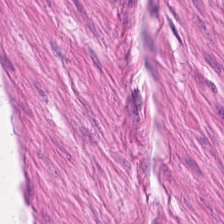Hematoxylin-and-eosin stained section — Tissue type = muscularis.
